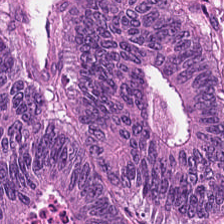H&E stain — Q: What is the predominant tissue type?
A: It is colorectal adenocarcinoma.
